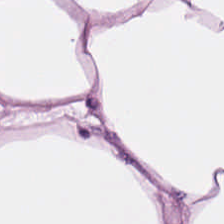H&E.
Classification — adipocytes.
